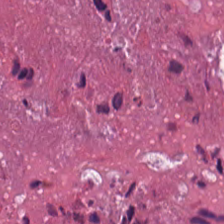H&E — Showing necrotic debris.
